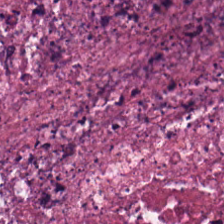Stain: H&E stain.
Preparation: FFPE tissue section.
Tissue class: cellular debris.
